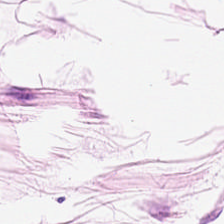H&E stain; 0.5 microns per pixel.
Classification — fat tissue.
